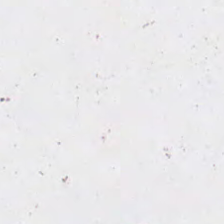0.5 µm per pixel; H&E stain.
No tissue present; background only.
